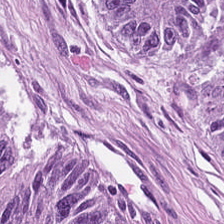WSI patch; H&E stain; 0.5 µm per pixel.
Classification = tumor epithelium.
